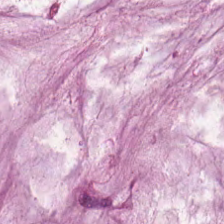Hematoxylin and eosin — The predominant tissue is mucus.
